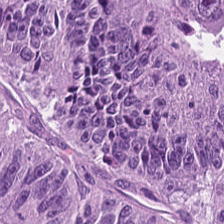0.5 µm/px · H&E-stained tissue section.
Classification — colorectal adenocarcinoma.
